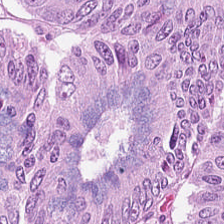H&E stain · 224×224 pixel tile · FFPE — The predominant tissue is colorectal adenocarcinoma epithelium.
